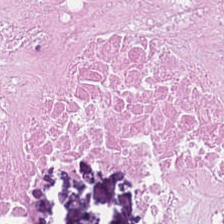H&E.
Showing necrotic debris.
